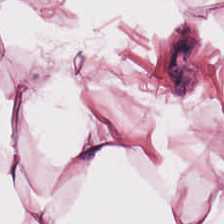H&E — adipose.
